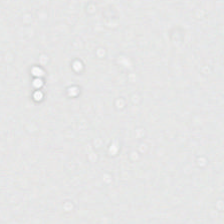Formalin-fixed paraffin-embedded section · H&E stain — {"content": "empty background"}
